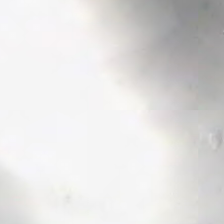0.5 microns per pixel; H&E-stained tissue section; formalin-fixed paraffin-embedded section. The field content is background.
